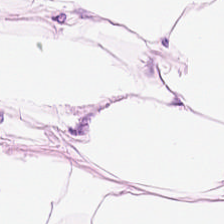Hematoxylin and eosin; brightfield microscopy; 224×224 px patch.
Fat tissue.
